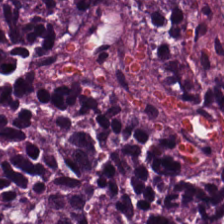Hematoxylin and eosin.
Q: What is shown in this field?
A: This is lymphoid infiltrate.
